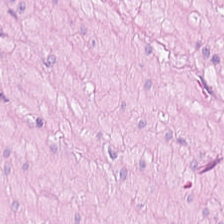224×224 pixel tile · FFPE · hematoxylin-and-eosin stained section.
Q: What does this patch show?
A: The field shows smooth muscle.
